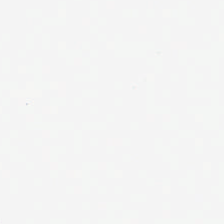H&E. Finding — background.
